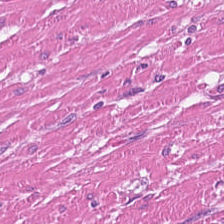Hematoxylin and eosin — Q: What is shown here?
A: It is smooth muscle.
